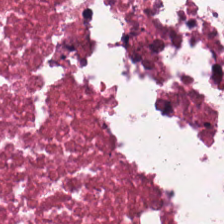H&E.
The tissue class is debris.
